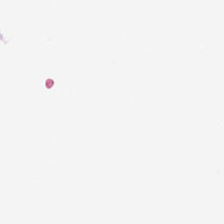H&E-stained tissue section.
Empty field — no tissue.
